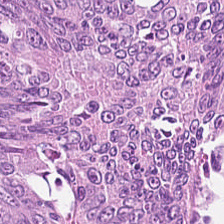Stain: H&E-stained tissue section.
Classification: colorectal adenocarcinoma epithelium.
